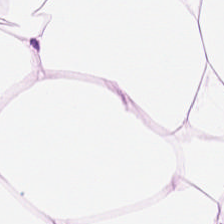FFPE tissue section; hematoxylin-and-eosin stained section.
Showing adipose.
